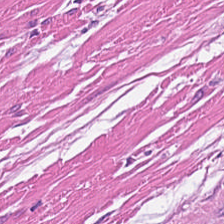Formalin-fixed paraffin-embedded section; H&E-stained tissue section — Smooth-muscle tissue.
